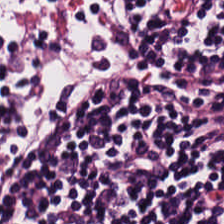H&E stain.
This field is lymphoid infiltrate.
